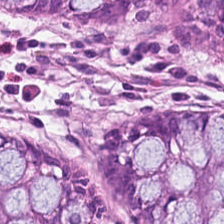H&E-stained tissue section — Tissue = benign colonic mucosa.
